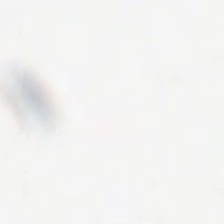224×224 pixel tile; hematoxylin and eosin. Q: What is shown here?
A: Background.
